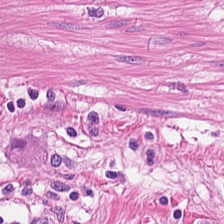Histology — smooth-muscle tissue.
